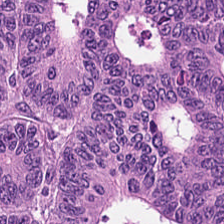Hematoxylin and eosin · 224×224 px tile.
Tissue class: malignant epithelium.
